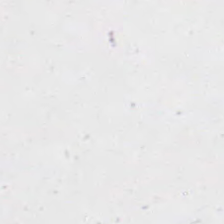Hematoxylin and eosin — Q: What is shown in this field?
A: This is no tissue.
